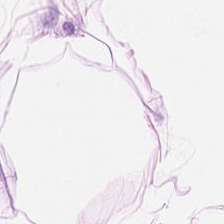H&E-stained tissue section showing adipocytes.
